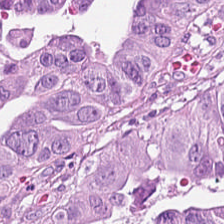Hematoxylin and eosin — Histology → colorectal adenocarcinoma epithelium.
